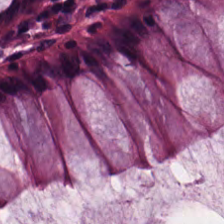H&E-stained tissue section.
Impression — normal colonic mucosa.
